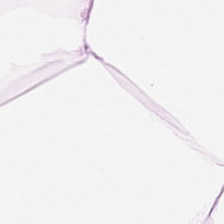H&E stain. Q: What tissue is shown?
A: This is fat tissue.
